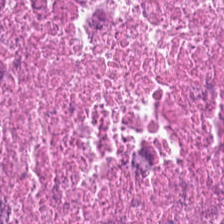Stain: H&E-stained tissue section.
Preparation: formalin-fixed paraffin-embedded section.
Tissue class: cellular debris.
